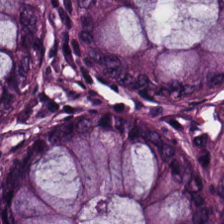Hematoxylin and eosin. Classification: normal colon mucosa.
